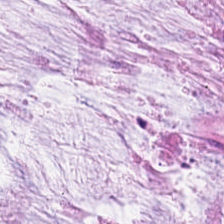H&E stain — Histology → extracellular mucin.
